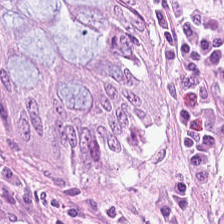H&E.
Histology → normal colonic mucosa.
